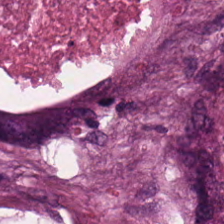H&E-stained tissue section. Histology — cellular debris.
